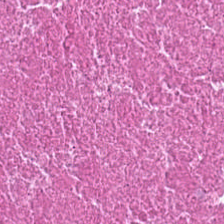H&E stain.
Q: What does this patch show?
A: Necrotic debris.
